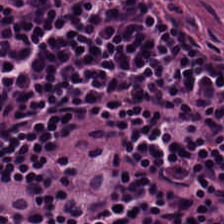H&E — lymphocyte aggregate.
